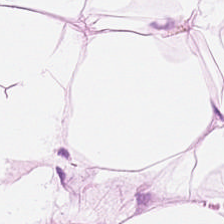Q: What type of tissue is this?
A: It is adipose tissue.
